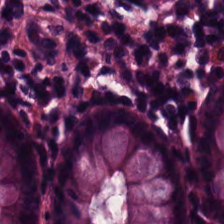H&E-stained tissue section showing normal colon mucosa.
